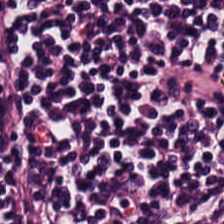H&E-stained tissue section.
Tissue — lymphoid infiltrate.
